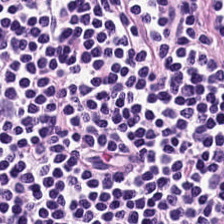Whole-slide-image patch · H&E.
Histology — lymphoid infiltrate.
